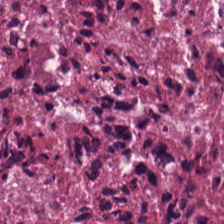Hematoxylin and eosin.
Tissue — necrotic debris.
